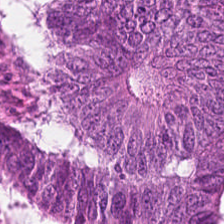H&E stain; FFPE tissue section; 224×224 px patch — Malignant epithelium.
